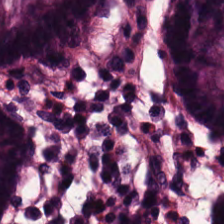Hematoxylin and eosin. Tissue class — non-neoplastic colon mucosa.
